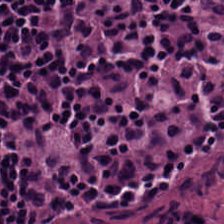H&E stain; FFPE tissue section; 0.5 microns per pixel. The tissue here is lymphocytes.
